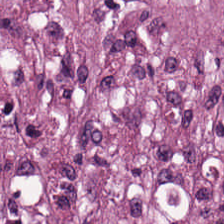WSI patch. Formalin-fixed paraffin-embedded section. Hematoxylin and eosin.
Classification — desmoplastic stroma.
